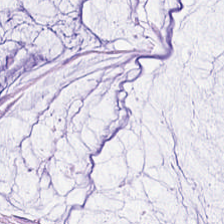{"tissue_type": "mucin"}
